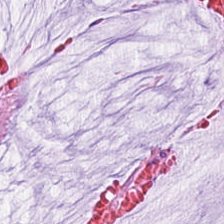H&E · brightfield microscopy · 224×224 pixel tile. This patch shows mucus.
